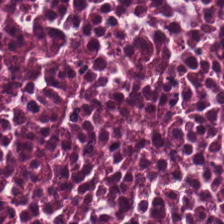Hematoxylin and eosin; FFPE.
The tissue here is necrotic debris.
